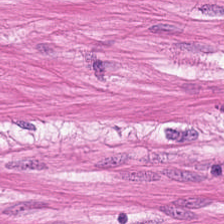H&E — This field is smooth-muscle tissue.
